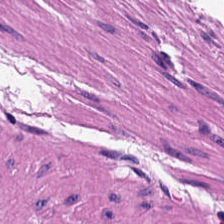Q: What does this patch show?
A: Smooth-muscle tissue.
